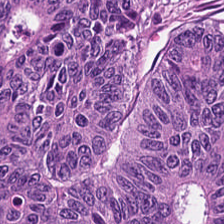Hematoxylin-and-eosin stained section. The predominant tissue is malignant epithelium.
